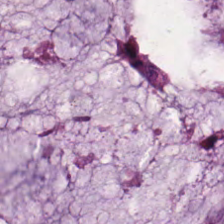Stain: H&E-stained tissue section.
Tissue type: mucin.
